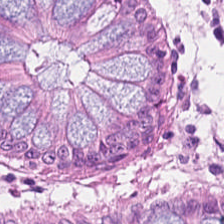Hematoxylin-and-eosin stained section — The tissue here is benign colonic mucosa.
